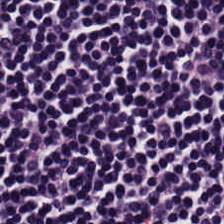H&E — The tissue here is lymphocyte aggregate.
